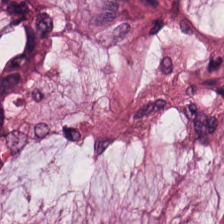Tissue — mucus.
